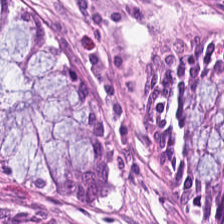H&E-stained tissue section — This field is benign colonic mucosa.
